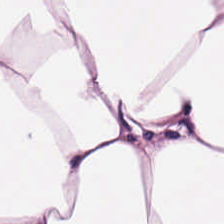Predominantly adipose tissue.
